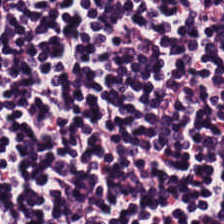Hematoxylin and eosin — This patch shows lymphoid infiltrate.
